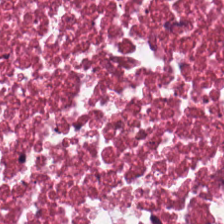H&E stain. This field is necrotic debris.
